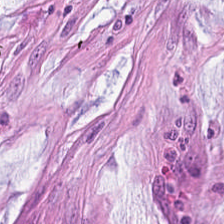Hematoxylin-and-eosin stained section. Predominant tissue — mucin.
